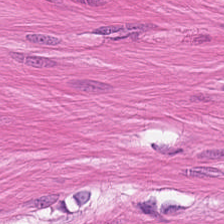H&E.
The classification is muscularis.
